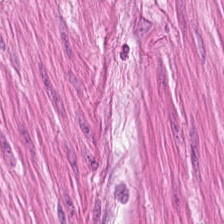H&E stain.
Showing smooth muscle.
